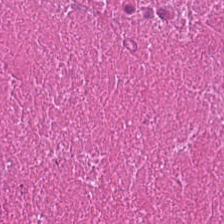224×224 px patch. Hematoxylin-and-eosin stained section.
The tissue here is cellular debris.
